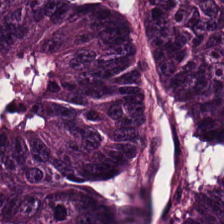H&E stain — Q: Classify this patch.
A: This is colorectal adenocarcinoma epithelium.
